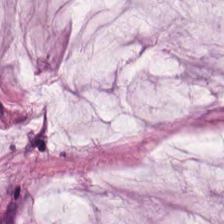H&E. This field is mucin.
